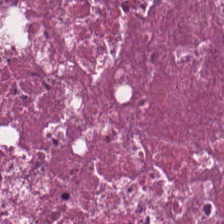Brightfield microscopy. Hematoxylin-and-eosin stained section — Q: What is shown in this field?
A: This is necrotic debris.
